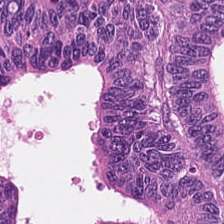H&E-stained tissue section.
Q: What is shown in this field?
A: This is malignant epithelium.
